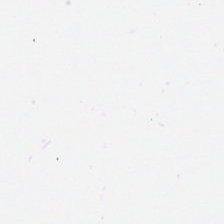H&E stain.
{"content": "background (no tissue)"}
